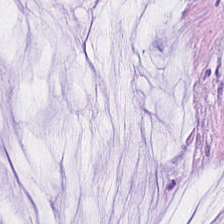0.5 µm/px · 224×224 px tile · H&E stain.
Q: What type of tissue is this?
A: It is mucin.
